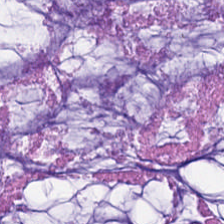H&E stain; 224×224 px tile — The tissue here is mucin.
